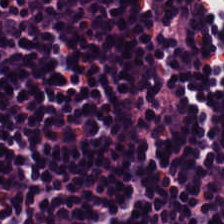H&E — lymphoid infiltrate.
